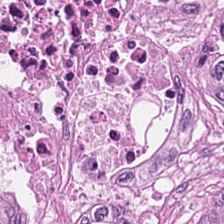Finding — tumor epithelium.
